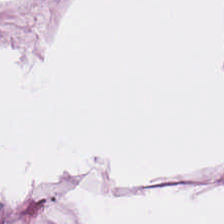Hematoxylin and eosin. Classification: adipose.
